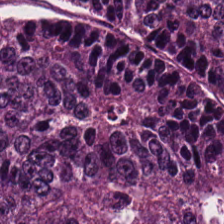Brightfield microscopy · H&E stain — Q: What tissue is shown?
A: It is malignant epithelium.
